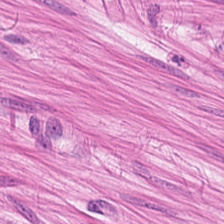H&E stain · 0.5 microns per pixel.
Histology → smooth-muscle tissue.
